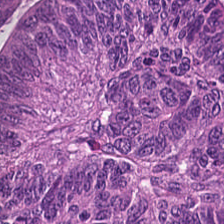Hematoxylin-and-eosin stained section.
Showing malignant epithelium.
